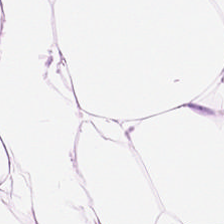Q: What tissue type is shown here?
A: This is adipocytes.
